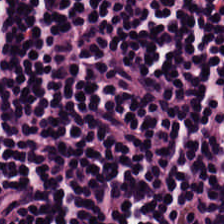Hematoxylin-and-eosin stained section. Tissue — lymphocyte aggregate.
